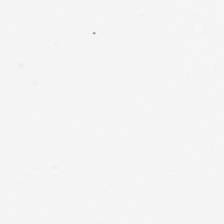Impression — background (no tissue).
